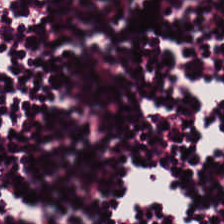Stain: H&E-stained tissue section.
Tissue type: lymphoid infiltrate.
